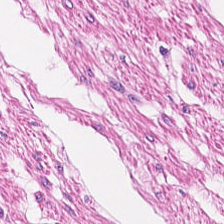Brightfield microscopy · FFPE · H&E — Q: What tissue type is shown here?
A: This is muscularis.
